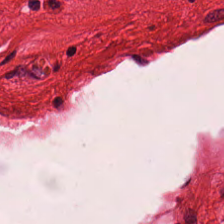H&E-stained tissue section.
Tissue type = smooth muscle.
